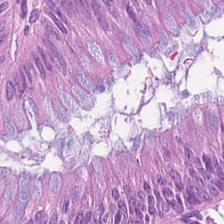0.5 µm/px; H&E-stained tissue section. Predominantly tumor epithelium.
